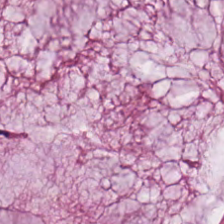Hematoxylin-and-eosin section: extracellular mucin.
